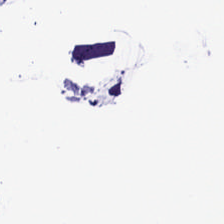Formalin-fixed paraffin-embedded section. H&E-stained tissue section. Q: What does this patch show?
A: It is empty background.
